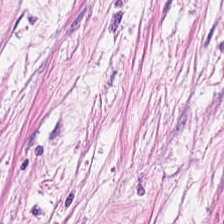Q: What type of tissue is this?
A: This is cancer-associated stroma.
